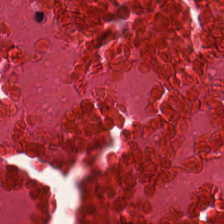0.5 µm/px; hematoxylin and eosin; brightfield — Tissue type = cellular debris.
